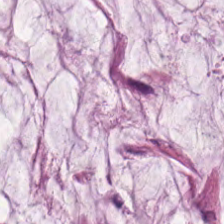Hematoxylin and eosin — Q: What is shown here?
A: It is extracellular mucin.
